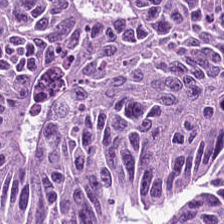Hematoxylin and eosin. Q: What is shown in this field?
A: It is colorectal adenocarcinoma epithelium.
